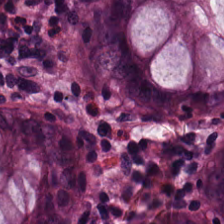Stain: hematoxylin and eosin.
Predominant tissue: normal colon mucosa.
